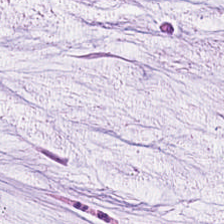Whole-slide-image patch; H&E.
Classification — mucin.
